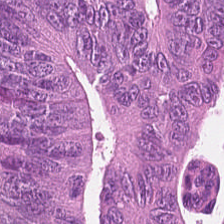Stain: H&E-stained tissue section.
Tissue: colorectal adenocarcinoma epithelium.
